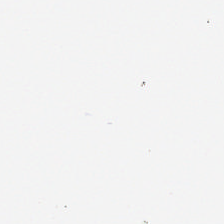H&E stain · 0.5 microns per pixel. Background.
